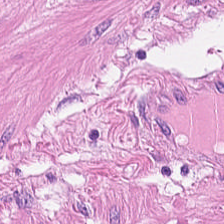0.5 microns per pixel; hematoxylin and eosin; 224×224 px patch — Q: What does this patch show?
A: Smooth-muscle tissue.
